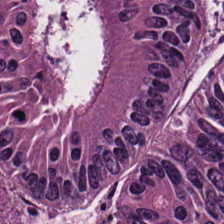Tissue = adenocarcinoma.
